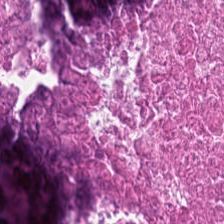WSI patch · H&E-stained tissue section. Q: What tissue type is shown here?
A: Necrotic debris.
